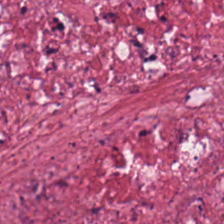Hematoxylin and eosin. 224×224 pixel tile. FFPE tissue section. The predominant tissue is tumor stroma.
